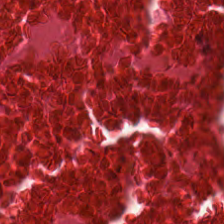0.5 microns per pixel; H&E-stained tissue section — This patch shows necrotic debris.
